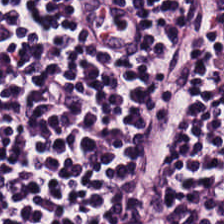Hematoxylin-and-eosin stained section. The tissue class is lymphocytes.
